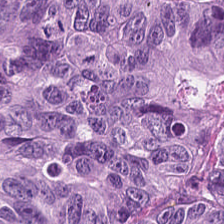FFPE tissue section · H&E-stained tissue section · 0.5 microns per pixel — The classification is tumor epithelium.
